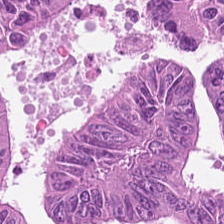H&E — colorectal adenocarcinoma.
